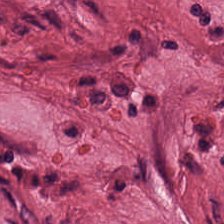Q: Identify the tissue.
A: This is cancer-associated stroma.
